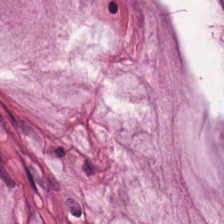Whole-slide-image patch · hematoxylin-and-eosin stained section · 224×224 pixel tile.
Predominantly mucus.
